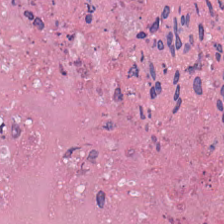Brightfield microscopy; H&E — Classification = cellular debris.
